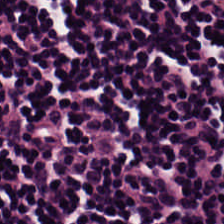H&E stain.
Impression → lymphocyte aggregate.
